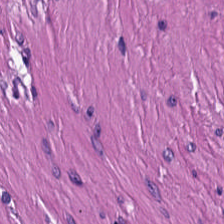Hematoxylin and eosin. 0.5 µm per pixel.
{"tissue_type": "smooth muscle"}
